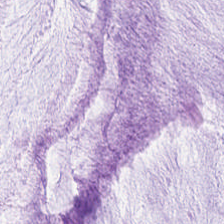H&E stain.
This patch shows mucus.
